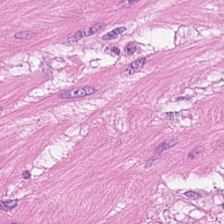H&E-stained tissue section.
The predominant tissue is muscularis.
